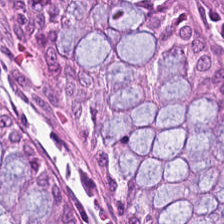Stain: H&E stain.
Classification: normal colon mucosa.
